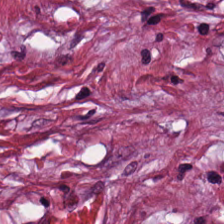H&E-stained tissue section. Predominant tissue = tumor-associated stroma.
